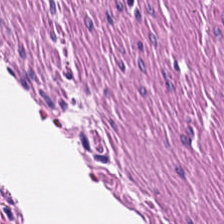H&E. The tissue is muscularis.
